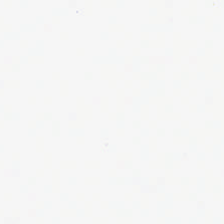This patch shows background.
